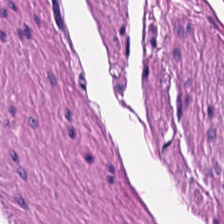H&E. 0.5 microns per pixel. Q: What type of tissue is this?
A: The field shows muscularis.
